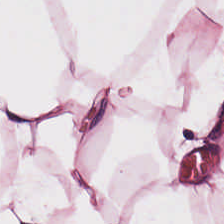H&E. Q: What type of tissue is this?
A: It is adipose.
